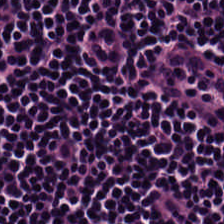Stain: H&E.
Tissue: lymphocyte aggregate.
